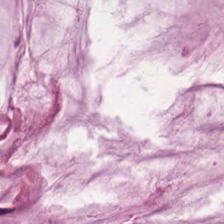Tissue type = mucus.
